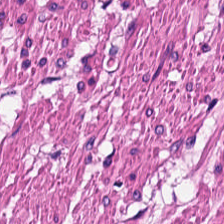H&E stain.
This field is muscularis.
